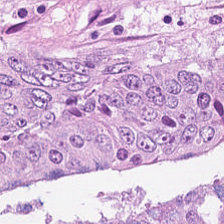Hematoxylin-and-eosin stained section.
Tissue class = colorectal adenocarcinoma.
